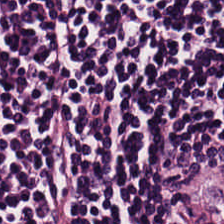0.5 µm per pixel; H&E.
The tissue class is lymphocytes.
